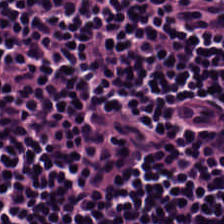Hematoxylin and eosin.
Predominantly lymphocyte aggregate.
